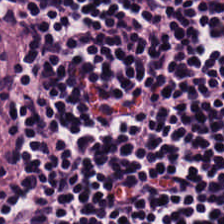Q: What is shown in this field?
A: Lymphoid infiltrate.
